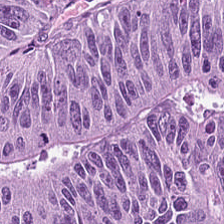Histology — adenocarcinoma.
